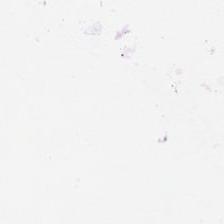FFPE tissue section. H&E-stained tissue section.
No tissue.
